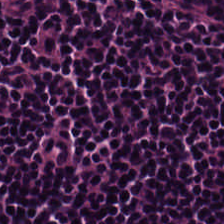0.5 µm per pixel; hematoxylin-and-eosin stained section. Tissue type = lymphocytic infiltrate.
